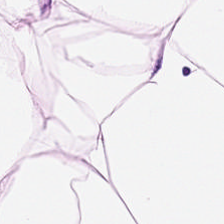H&E-stained tissue section · whole-slide-image patch · 224×224 px tile.
Tissue type = adipose tissue.
